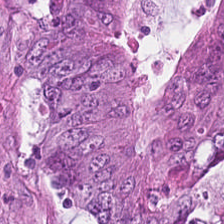Hematoxylin and eosin — This field is colorectal adenocarcinoma epithelium.
